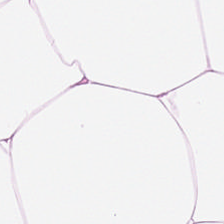Stain: H&E stain.
Preparation: FFPE.
Tissue: adipocytes.
